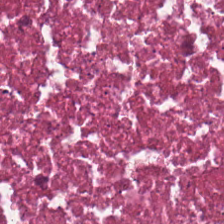The predominant tissue is necrotic debris.
